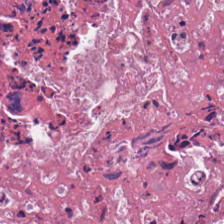H&E. FFPE tissue section. Whole-slide-image patch. Finding → debris.
